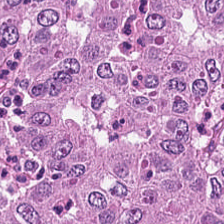H&E stain.
Classification: adenocarcinoma.
